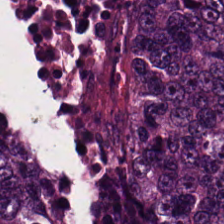H&E stain — Tissue class: colorectal adenocarcinoma epithelium.
